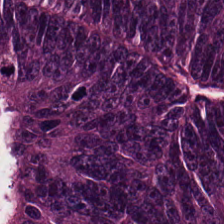Hematoxylin and eosin; 224×224 px patch.
Tissue class = adenocarcinoma.
